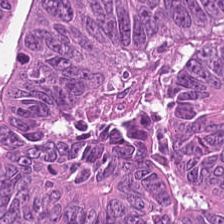H&E-stained tissue section — This patch shows colorectal adenocarcinoma.
